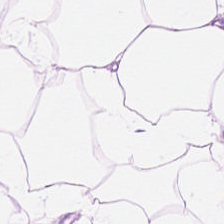Hematoxylin and eosin; 20× equivalent magnification — Predominantly adipose tissue.
